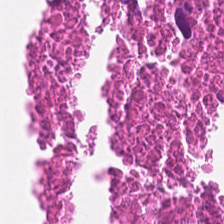FFPE tissue section. H&E stain.
Cellular debris.
